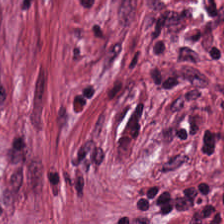Q: What tissue is shown?
A: Cancer-associated stroma.
